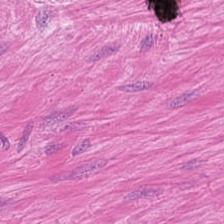H&E-stained tissue section. This patch shows smooth muscle.
